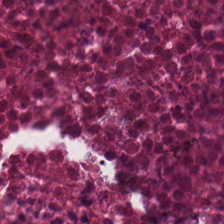H&E-stained tissue section. 224×224 pixel tile. Brightfield.
The classification is cellular debris.
